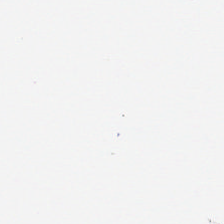Stain: H&E.
Content: empty background.
